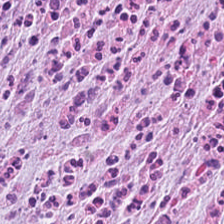Stain: H&E stain.
Tissue: desmoplastic stroma.
